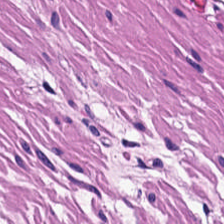Stain: hematoxylin and eosin.
Preparation: formalin-fixed paraffin-embedded section.
Tissue class: muscularis.
